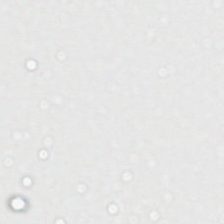FFPE. H&E.
Histology — empty background.
